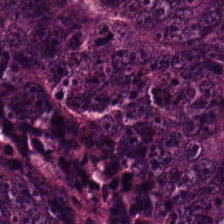Formalin-fixed paraffin-embedded section; H&E-stained tissue section — Finding — malignant epithelium.
